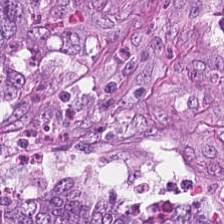Hematoxylin and eosin — Tissue — colorectal adenocarcinoma.
